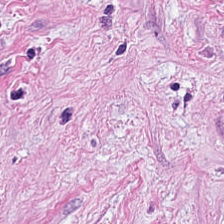H&E stain · WSI patch.
Q: What tissue type is shown here?
A: The field shows tumor-associated stroma.
